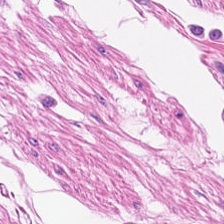Hematoxylin and eosin. The classification is smooth muscle.
